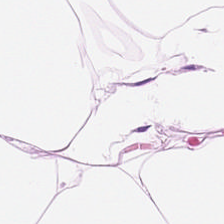Hematoxylin-and-eosin stained section.
Tissue type: adipose tissue.
